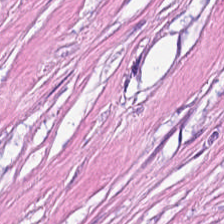Showing tumor stroma.
